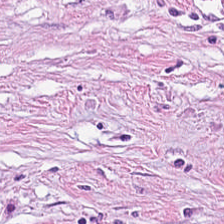H&E stain.
{"tissue_type": "cancer-associated stroma"}
